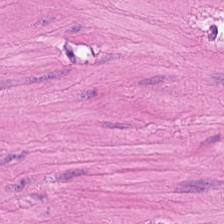Q: What is the predominant tissue type?
A: Smooth muscle.
